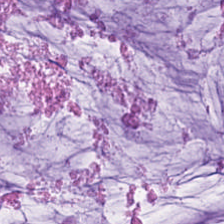H&E stain.
Predominantly mucus.
